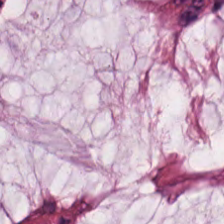FFPE tissue section · 224×224 px tile · H&E stain. {"tissue_type": "extracellular mucin"}
